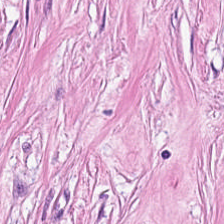20× equivalent magnification; H&E-stained tissue section.
Showing tumor-associated stroma.
